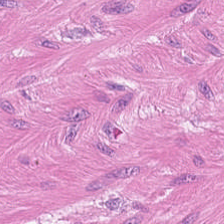Hematoxylin and eosin.
Showing muscularis.
